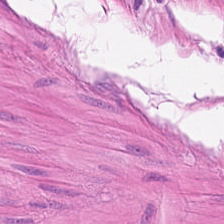Histology → muscularis.
